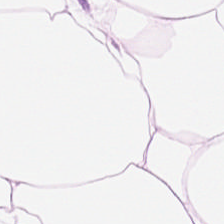H&E-stained tissue section — This patch shows adipocytes.
